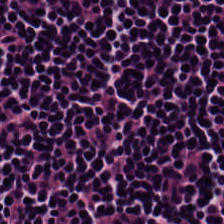224×224 pixel tile. Brightfield microscopy. H&E.
Finding — lymphoid infiltrate.
